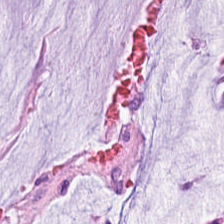20× equivalent magnification. H&E-stained tissue section — Q: What tissue type is shown here?
A: It is mucus.
